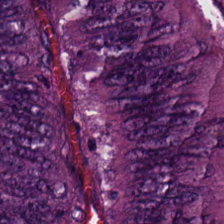Histology — colorectal adenocarcinoma.
